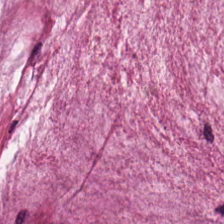FFPE tissue section · hematoxylin and eosin. This patch shows mucus.
